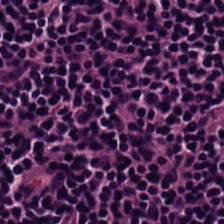H&E stain.
This patch shows lymphoid infiltrate.
